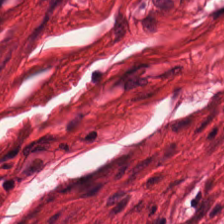H&E patch showing smooth muscle.
